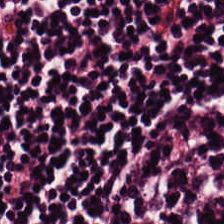Stain: H&E.
Tissue: lymphocytes.
